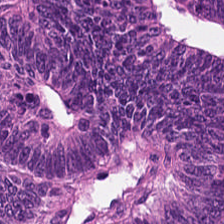Hematoxylin-and-eosin stained section. The tissue is colorectal adenocarcinoma epithelium.
